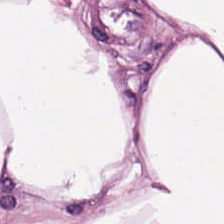H&E stain · FFPE tissue section. Classification — adipocytes.
